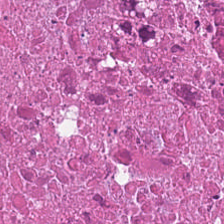Histology — cellular debris.
